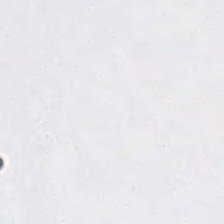Stain: H&E-stained tissue section.
Field content: background (no tissue).
